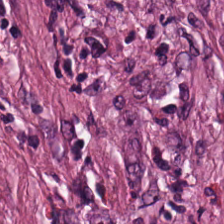H&E-stained tissue section.
Showing cancer-associated stroma.
